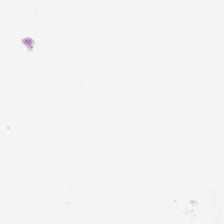This patch shows no tissue.
